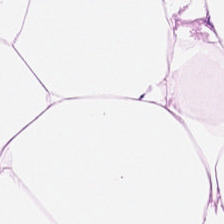Whole-slide-image patch; H&E stain — This patch shows fat tissue.
